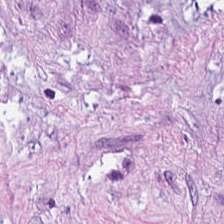H&E patch showing tumor stroma.
